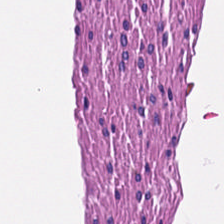Formalin-fixed paraffin-embedded section; WSI patch; hematoxylin and eosin.
Predominantly smooth muscle.
